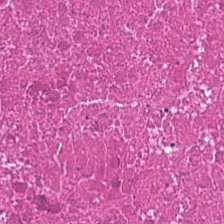H&E stain. WSI patch. Q: What does this patch show?
A: The field shows debris.
